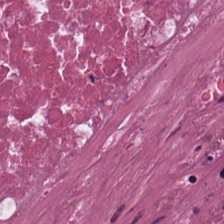Hematoxylin and eosin · brightfield microscopy — Tissue class: debris.
